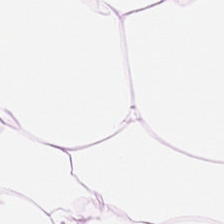Hematoxylin-and-eosin stained section · brightfield · 0.5 microns per pixel.
Finding → adipose tissue.
